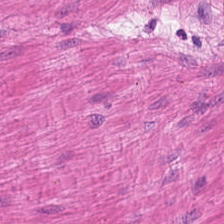H&E-stained tissue section.
Q: What does this patch show?
A: It is smooth muscle.
